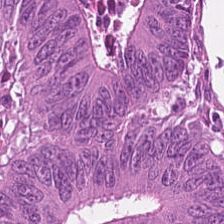Q: What is shown here?
A: This is malignant epithelium.
